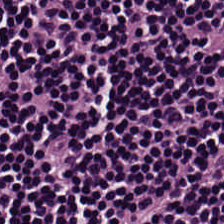H&E-stained tissue section — Histology — lymphocytes.
